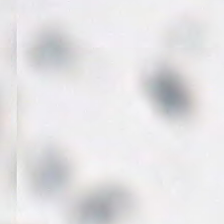Hematoxylin and eosin. Background.
